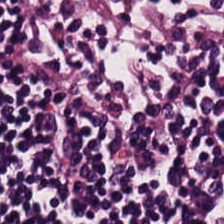Stain: H&E.
Preparation: formalin-fixed paraffin-embedded section.
Tissue class: lymphocyte aggregate.
